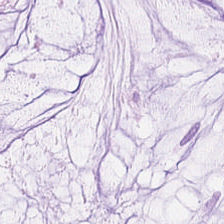Finding — mucin.
